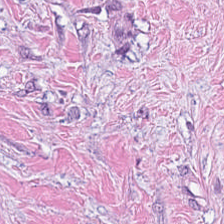Tumor stroma.
